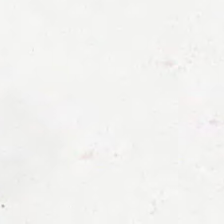Formalin-fixed paraffin-embedded section; hematoxylin and eosin. Background — no tissue in this field.
